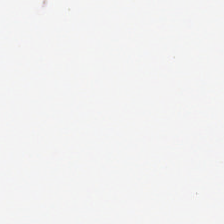Hematoxylin and eosin — Empty field — background (no tissue).
